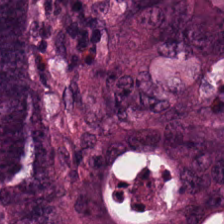224×224 px tile. H&E stain. Formalin-fixed paraffin-embedded section.
Finding → tumor epithelium.
